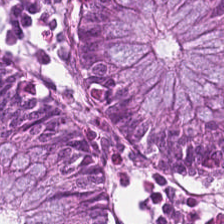H&E stain — Q: What tissue type is shown here?
A: It is normal colonic mucosa.
